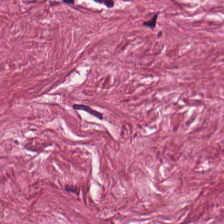Stain: H&E-stained tissue section.
Tissue: tumor stroma.
